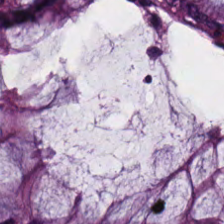Hematoxylin and eosin — This field is normal colonic mucosa.
